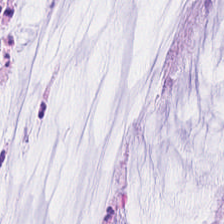Hematoxylin-and-eosin stained section.
Finding → mucin.
